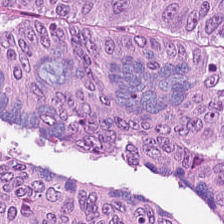{"tissue_type": "colorectal adenocarcinoma epithelium"}
